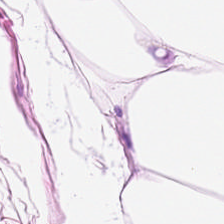224×224 px patch · H&E-stained tissue section · 0.5 microns per pixel — Q: What does this patch show?
A: Fat tissue.
